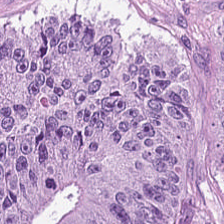Hematoxylin and eosin. Malignant epithelium.
